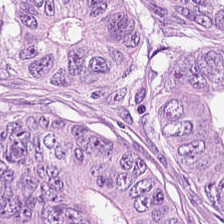Hematoxylin and eosin. Brightfield. The predominant tissue is colorectal adenocarcinoma epithelium.
